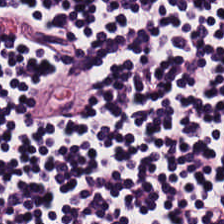Hematoxylin and eosin — Q: What tissue is shown?
A: It is lymphocytes.
